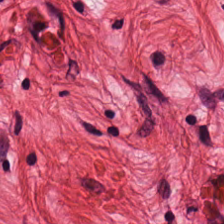FFPE. Hematoxylin and eosin.
Q: What is shown here?
A: Smooth-muscle tissue.
